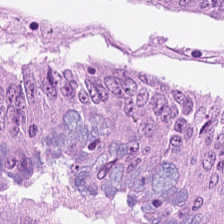H&E stain. WSI patch. FFPE. Predominant tissue: colorectal adenocarcinoma epithelium.
